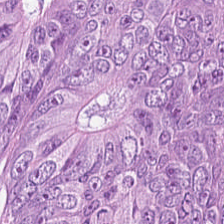H&E — tumor epithelium.
